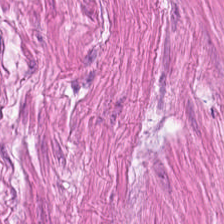WSI patch · H&E stain. The tissue is smooth-muscle tissue.
